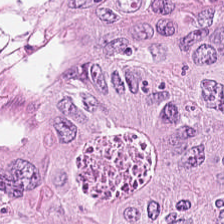H&E stain; 224×224 px tile; 20× equivalent magnification — Predominantly colorectal adenocarcinoma epithelium.
